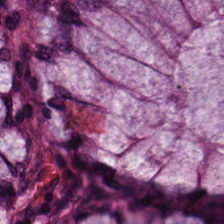H&E stain. Q: What tissue is shown?
A: This is normal colon mucosa.
